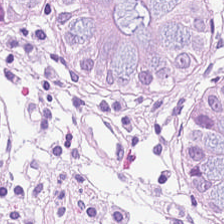H&E stain · 0.5 µm per pixel.
Q: What is the predominant tissue type?
A: It is normal colon mucosa.
